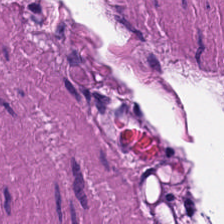224×224 pixel tile · H&E stain. Showing smooth-muscle tissue.
